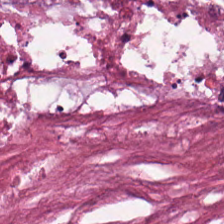Stain: hematoxylin-and-eosin stained section.
Preparation: formalin-fixed paraffin-embedded section.
Tissue type: necrotic debris.
